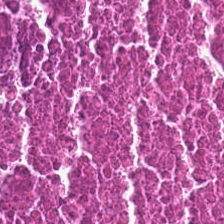Hematoxylin and eosin — Cellular debris.
